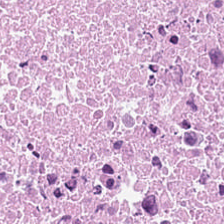H&E stain.
Predominantly cellular debris.
